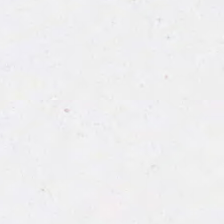Empty field — background.
